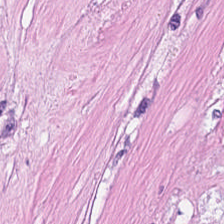Stain: H&E.
Tile size: 224×224 px tile.
Tissue class: necrotic debris.
